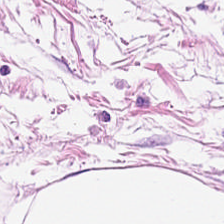Formalin-fixed paraffin-embedded section. 224×224 px tile. Hematoxylin and eosin.
Q: What tissue type is shown here?
A: It is fat tissue.
